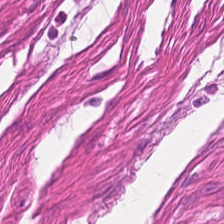H&E stain · brightfield.
Predominantly smooth muscle.
